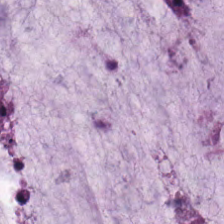Stain: H&E.
Tissue type: extracellular mucin.
